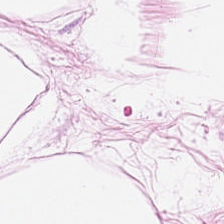H&E stain. Tissue type: adipose.
